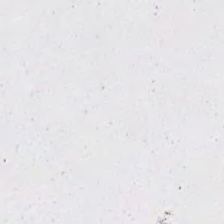Content = background.
